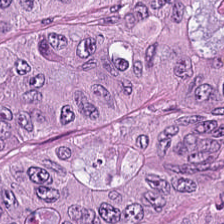Showing tumor epithelium.
